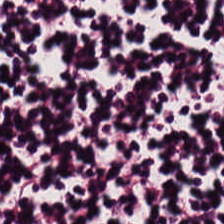0.5 µm per pixel; WSI patch; H&E-stained tissue section. Tissue type — lymphoid infiltrate.
